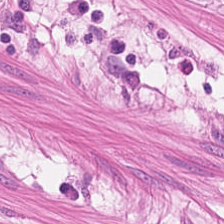H&E-stained tissue section.
The tissue class is smooth-muscle tissue.
